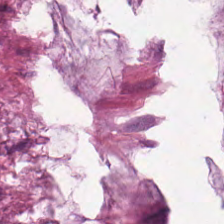224×224 pixel tile · hematoxylin-and-eosin stained section. Tissue class — extracellular mucin.
